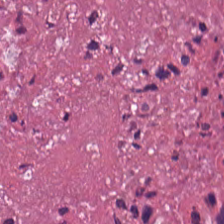Stain: hematoxylin and eosin.
Resolution: 20× equivalent magnification.
Classification: cellular debris.
